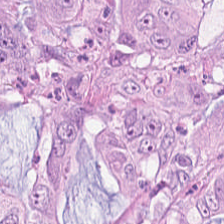Hematoxylin and eosin. Q: Classify this patch.
A: The field shows adenocarcinoma.
